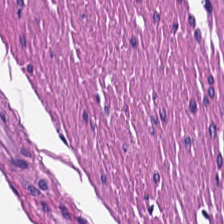H&E · 0.5 microns per pixel · brightfield microscopy — Impression — smooth muscle.
